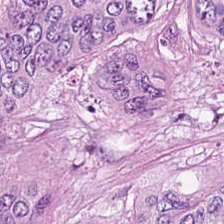Stain: H&E-stained tissue section.
Preparation: formalin-fixed paraffin-embedded section.
Tissue class: tumor epithelium.
